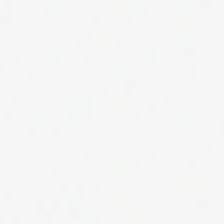H&E-stained tissue section. Q: What is shown here?
A: This is background (no tissue).
